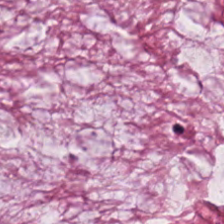H&E. Showing mucus.
